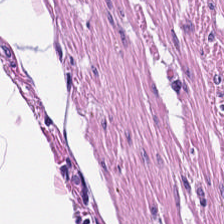H&E-stained tissue section. This field is smooth muscle.
